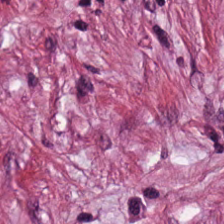Histology — tumor stroma.
